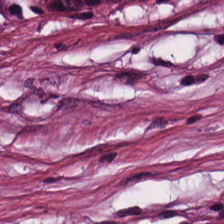Hematoxylin-and-eosin stained section. Predominantly cancer-associated stroma.
